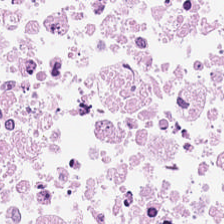H&E-stained tissue section — The tissue here is cellular debris.
